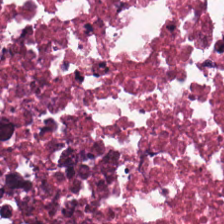H&E stain — This patch shows debris.
